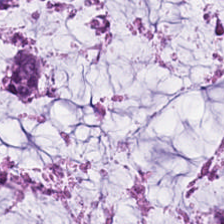224×224 px patch; H&E-stained tissue section; brightfield.
This patch shows mucin.
